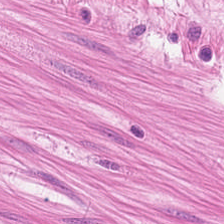H&E.
Histology — muscularis.
